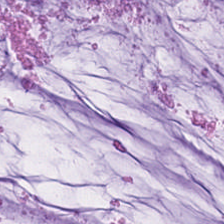H&E-stained tissue section — The tissue type is mucus.
